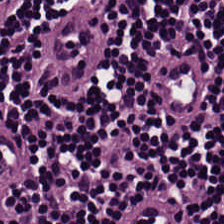H&E.
Q: What tissue is shown?
A: Lymphocyte aggregate.
